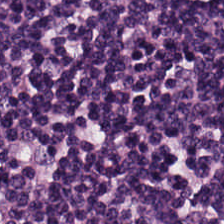Hematoxylin-and-eosin stained section · FFPE tissue section — The tissue here is lymphoid infiltrate.
